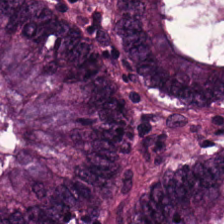H&E stain; 224×224 px patch; 20× equivalent magnification.
The tissue type is adenocarcinoma.
